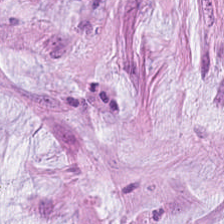Tissue class — extracellular mucin.
